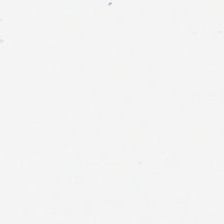H&E-stained tissue section. Impression → empty background.
